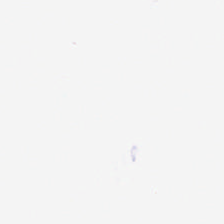H&E. FFPE tissue section — Classification — empty background.
